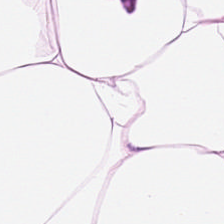Showing adipose.
